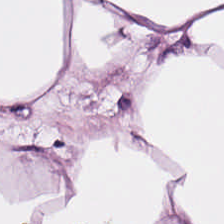H&E-stained tissue section · 20× equivalent magnification. Impression — adipose tissue.
